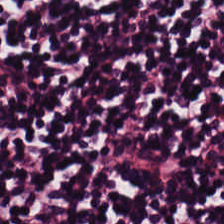Hematoxylin-and-eosin stained section.
Predominantly lymphocytes.
